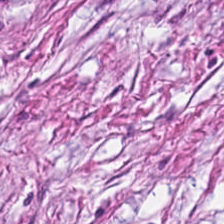H&E-stained tissue section · WSI patch. The predominant tissue is tumor-associated stroma.
